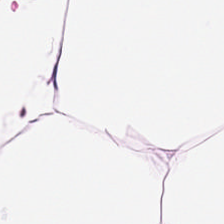WSI patch · 224×224 px tile · hematoxylin-and-eosin stained section — Q: Identify the tissue.
A: This is adipocytes.
